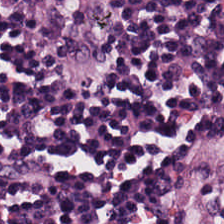H&E-stained tissue section · 224×224 pixel tile. Histology → lymphocytes.
